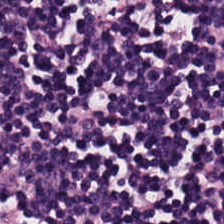H&E.
The predominant tissue is lymphocytes.
